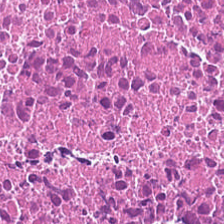Hematoxylin and eosin.
Showing necrotic debris.
